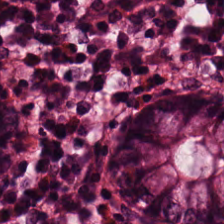Stain: H&E-stained tissue section.
Resolution: 0.5 µm/px.
Acquisition: brightfield microscopy.
Classification: normal colon mucosa.
